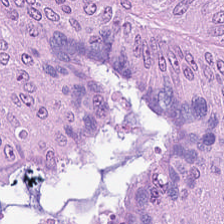Hematoxylin and eosin; 224×224 px tile.
The tissue class is tumor epithelium.
